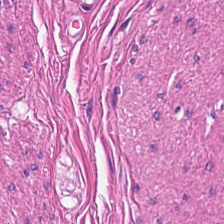H&E-stained tissue section.
Classification = muscularis.
